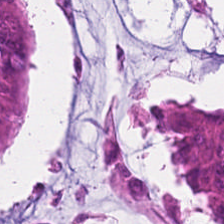Stain: hematoxylin-and-eosin stained section.
Acquisition: whole-slide-image patch.
Classification: tumor epithelium.
